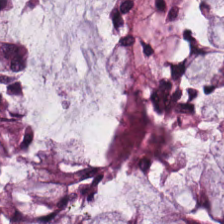H&E stain · 0.5 microns per pixel · FFPE tissue section — Tissue type = normal colon mucosa.
